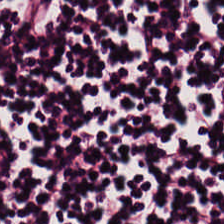H&E-stained tissue section. Brightfield.
{"tissue_type": "lymphoid infiltrate"}
